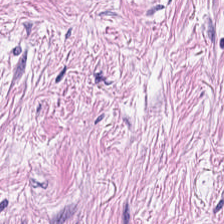0.5 µm per pixel; H&E; FFPE. Impression → tumor stroma.
